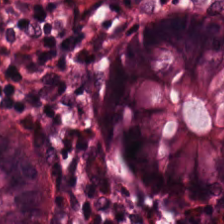H&E-stained tissue section; 20× equivalent magnification. This patch shows benign colonic mucosa.
